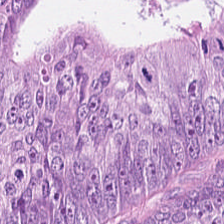FFPE tissue section · H&E stain.
This patch shows colorectal adenocarcinoma.
